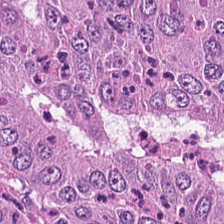Hematoxylin-and-eosin stained section. Impression — tumor epithelium.
